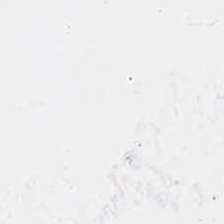WSI patch · 0.5 microns per pixel · hematoxylin-and-eosin stained section — Field content — empty background.
